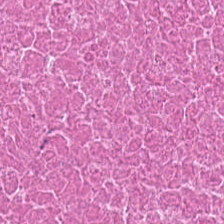Tissue — necrotic debris.
